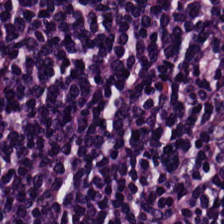Hematoxylin and eosin — Tissue type — lymphoid infiltrate.
